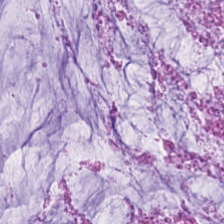H&E; FFPE.
Tissue: mucus.
